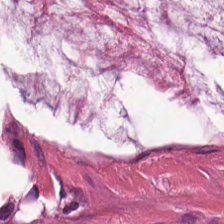Histology — mucus.
